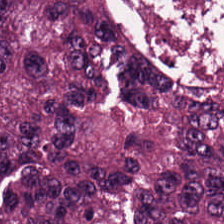Tissue type = colorectal adenocarcinoma.
